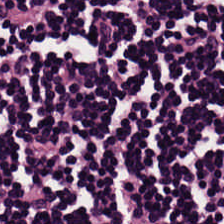Hematoxylin and eosin — The tissue here is lymphocyte aggregate.
